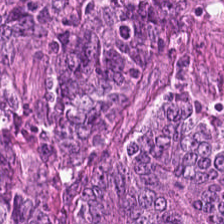Formalin-fixed paraffin-embedded section · H&E-stained tissue section · 224×224 px tile.
The tissue class is malignant epithelium.
